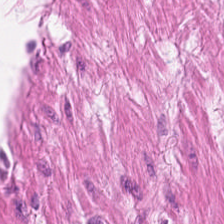H&E stain — Histology → smooth-muscle tissue.
